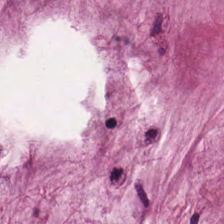Hematoxylin-and-eosin stained section · 0.5 µm per pixel.
{"tissue_type": "mucus"}
